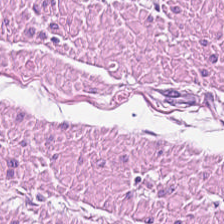Hematoxylin-and-eosin stained section.
Predominant tissue — muscularis.
